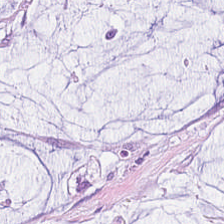224×224 pixel tile; hematoxylin and eosin. Q: What tissue is shown?
A: It is mucin.
